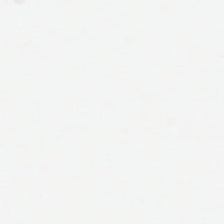WSI patch · hematoxylin and eosin · 224×224 px patch — Impression → no tissue.
